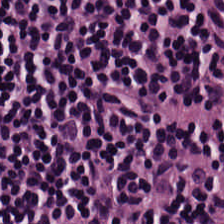Tissue class — lymphoid infiltrate.
